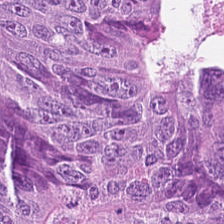This field is colorectal adenocarcinoma epithelium.
